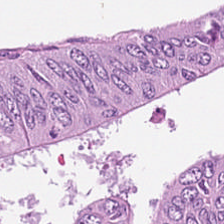Predominant tissue: colorectal adenocarcinoma epithelium.
